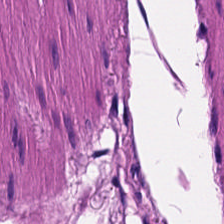Smooth-muscle tissue.
